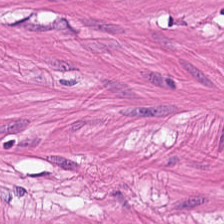Hematoxylin-and-eosin stained section · brightfield.
Histology — smooth muscle.
